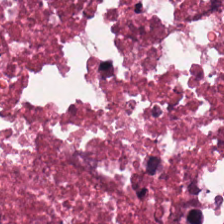Stain: H&E stain.
Classification: debris.
